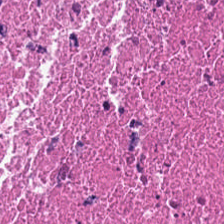Predominant tissue — necrotic debris.
